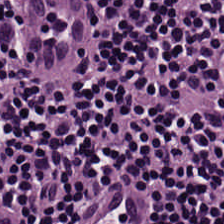Impression → lymphocytic infiltrate.
